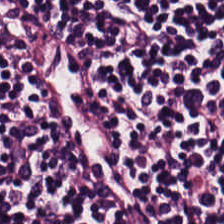Hematoxylin and eosin.
Q: What is the predominant tissue type?
A: The field shows lymphocytes.
